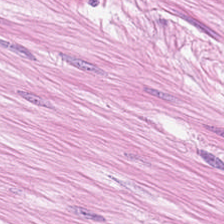H&E-stained tissue section — Tissue: muscularis.
